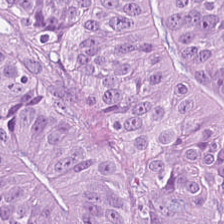Q: What tissue type is shown here?
A: The field shows colorectal adenocarcinoma epithelium.
